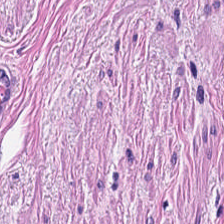Hematoxylin-and-eosin section: muscularis.
